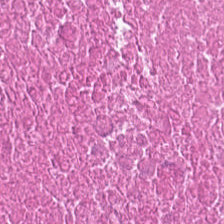Stain: hematoxylin and eosin.
Tile size: 224×224 pixel tile.
Tissue type: cellular debris.
